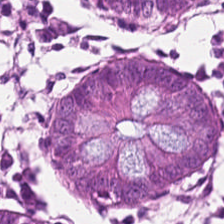Stain: H&E-stained tissue section.
Tissue class: benign colonic mucosa.
